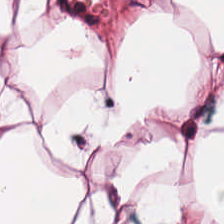H&E. This patch shows fat tissue.
